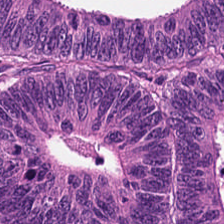H&E — malignant epithelium.
